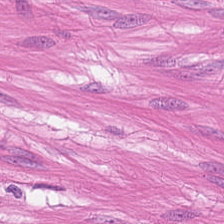H&E stain.
Classification: smooth-muscle tissue.
